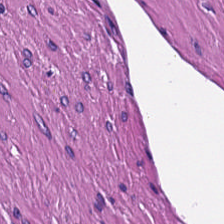The predominant tissue is muscularis.
